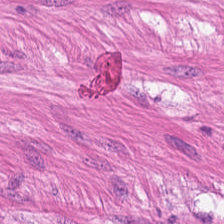This patch shows muscularis.
